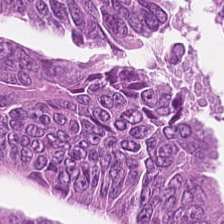H&E-stained tissue section · formalin-fixed paraffin-embedded section — Q: What type of tissue is this?
A: The field shows tumor epithelium.
